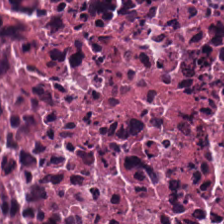Hematoxylin and eosin. Predominant tissue: necrotic debris.
